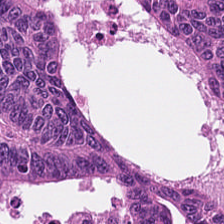224×224 px patch · 20× equivalent magnification · hematoxylin and eosin.
This field is tumor epithelium.
